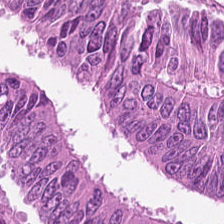The predominant tissue is colorectal adenocarcinoma epithelium.
